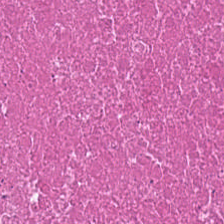0.5 µm/px. H&E. Predominantly debris.
